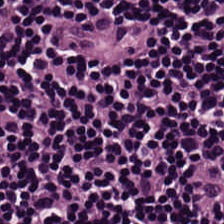Brightfield microscopy. Hematoxylin and eosin. FFPE tissue section — Tissue class — lymphocyte aggregate.
